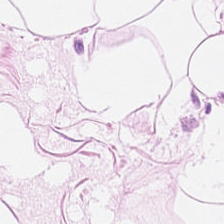This field is adipose.
